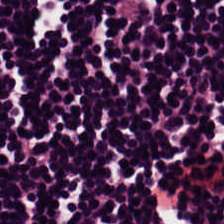Hematoxylin-and-eosin stained section.
Predominantly lymphocyte aggregate.
